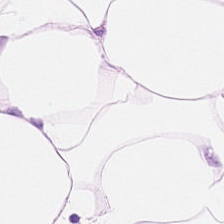0.5 microns per pixel · H&E stain · 224×224 px patch — Q: Classify this patch.
A: The field shows fat tissue.
